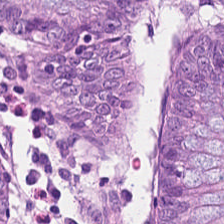FFPE tissue section · H&E stain.
Tissue type: normal colonic mucosa.
